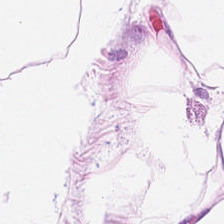H&E. 0.5 µm per pixel — The tissue type is adipose.
